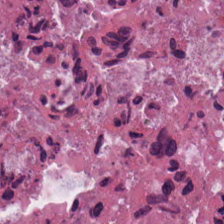Tissue = debris.
